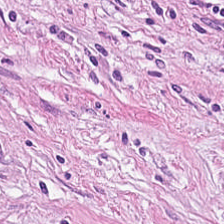Hematoxylin and eosin · formalin-fixed paraffin-embedded section · 224×224 px patch — The tissue here is tumor-associated stroma.
